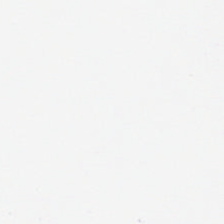Stain: hematoxylin and eosin.
Classification: no tissue.
